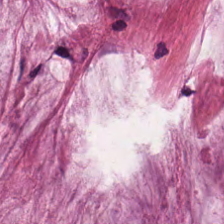H&E-stained tissue section; formalin-fixed paraffin-embedded section. Extracellular mucin.
